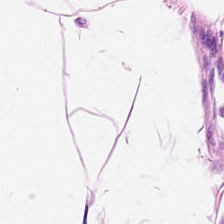H&E-stained tissue section; formalin-fixed paraffin-embedded section. Q: Classify this patch.
A: It is fat tissue.
